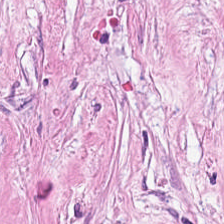Hematoxylin-and-eosin stained section — This patch shows tumor stroma.
